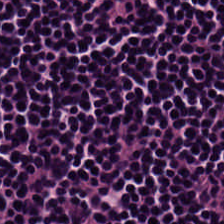Stain: hematoxylin-and-eosin stained section.
Classification: lymphocyte aggregate.
